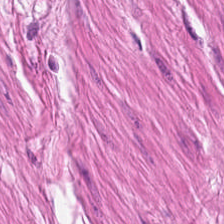Hematoxylin-and-eosin stained section · FFPE tissue section. Muscularis.
